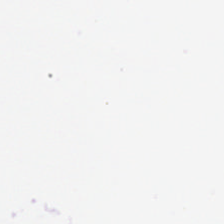H&E stain. Q: What is shown in this field?
A: This is empty background.
